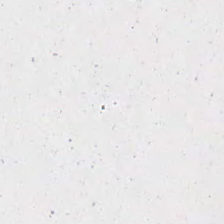Stain: H&E stain.
Preparation: FFPE tissue section.
Resolution: 0.5 µm per pixel.
Classification: background (no tissue).
